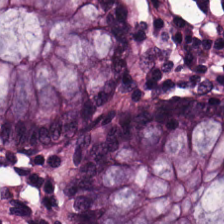Stain: H&E-stained tissue section.
Classification: benign colonic mucosa.
